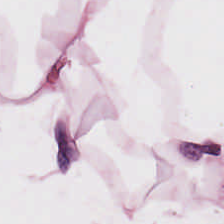FFPE tissue section · hematoxylin and eosin.
Predominantly adipose tissue.
